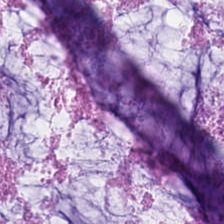Q: What type of tissue is this?
A: This is extracellular mucin.
